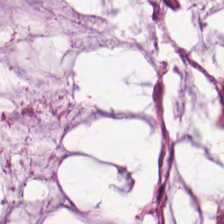H&E — The predominant tissue is extracellular mucin.
